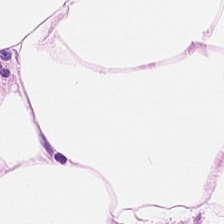H&E patch showing adipocytes.
